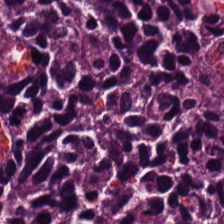H&E — Tissue class = lymphocytic infiltrate.
